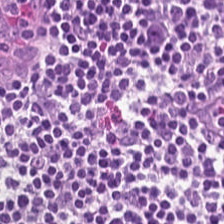Hematoxylin-and-eosin stained section. Formalin-fixed paraffin-embedded section. Q: What is shown here?
A: Lymphocytic infiltrate.
